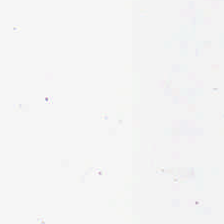Classification — background.
